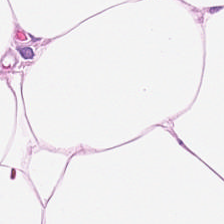H&E. Showing fat tissue.
